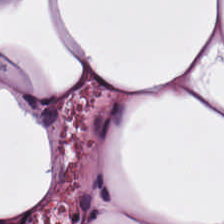Hematoxylin and eosin.
Predominantly adipose tissue.
